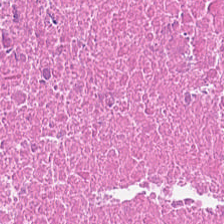H&E-stained tissue section — The tissue here is necrotic debris.
